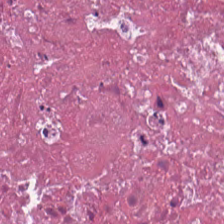Hematoxylin-and-eosin stained section.
This field is debris.
